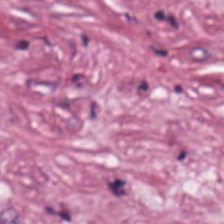{"tissue_type": "tumor stroma"}
